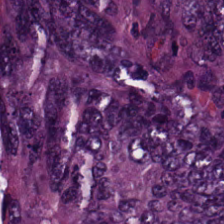Hematoxylin and eosin.
The predominant tissue is tumor epithelium.
